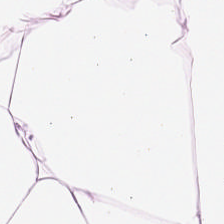0.5 µm per pixel; H&E stain — Finding → fat tissue.
